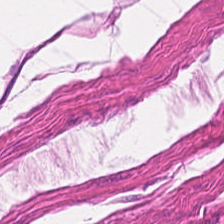H&E-stained tissue section.
{"tissue_type": "smooth muscle"}
